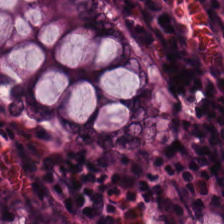{"tissue_type": "normal colon mucosa"}
